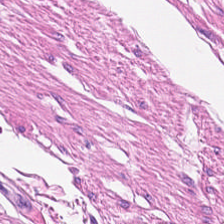H&E. Whole-slide-image patch. This patch shows muscularis.
